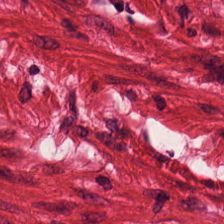H&E · 0.5 µm/px · formalin-fixed paraffin-embedded section. Smooth muscle.
